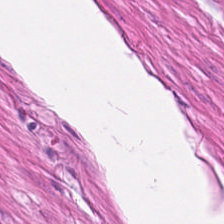Hematoxylin and eosin; FFPE. The tissue here is smooth muscle.
